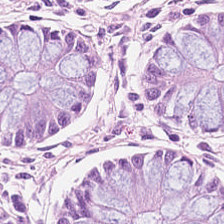H&E-stained tissue section. Q: What tissue is shown?
A: Benign colonic mucosa.
